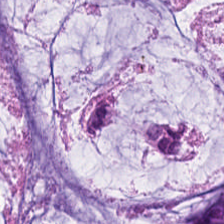H&E stain.
{"tissue_type": "mucus"}
